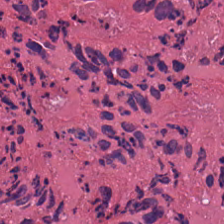Classification: debris.
